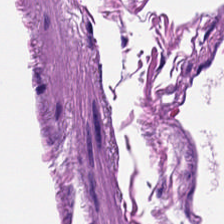H&E-stained section; the field shows smooth-muscle tissue.
